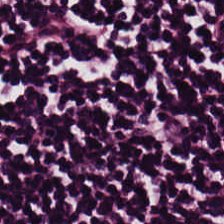H&E stain — This field is lymphocytes.
